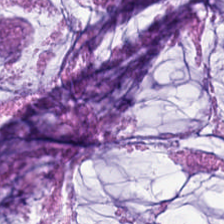H&E-stained tissue section.
Tissue type = mucin.
